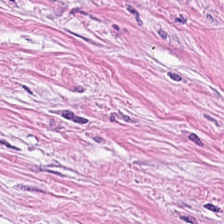FFPE tissue section · H&E · 0.5 microns per pixel — Tumor-associated stroma.
